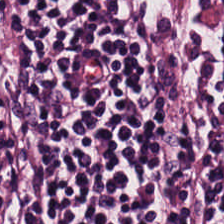224×224 px patch. Hematoxylin-and-eosin stained section. Histology → lymphoid infiltrate.
